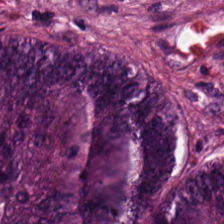Hematoxylin-and-eosin stained section — Q: Identify the tissue.
A: It is tumor epithelium.
